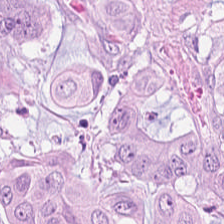Hematoxylin and eosin. Histology — malignant epithelium.
